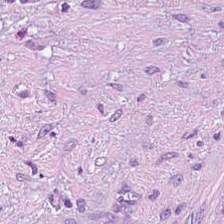Stain: H&E stain.
Acquisition: WSI patch.
Tissue: tumor stroma.
